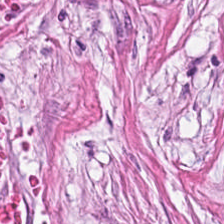Hematoxylin-and-eosin stained section · FFPE — Predominant tissue = tumor-associated stroma.
